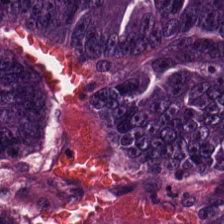H&E stain.
Q: What is shown here?
A: This is colorectal adenocarcinoma.
